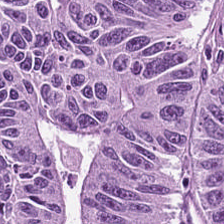H&E-stained tissue section. Impression — adenocarcinoma.
